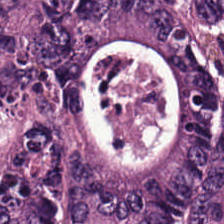Stain: H&E stain.
Tissue type: adenocarcinoma.
